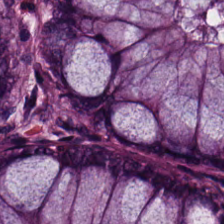Q: What type of tissue is this?
A: It is normal colonic mucosa.
